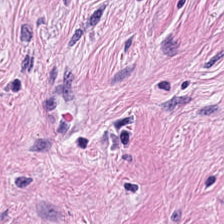Brightfield · hematoxylin-and-eosin stained section — Showing tumor-associated stroma.
